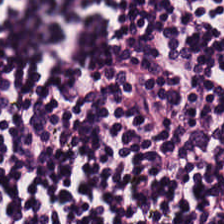Hematoxylin and eosin.
Classification = lymphocytic infiltrate.
